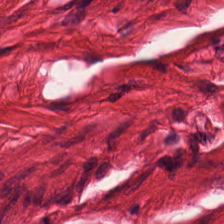H&E stain.
The predominant tissue is smooth muscle.
